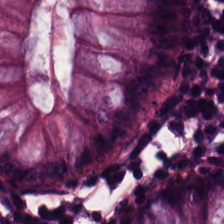Hematoxylin-and-eosin stained section — Impression — benign colonic mucosa.
